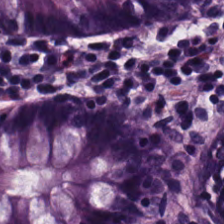H&E stain — The tissue class is normal colonic mucosa.
